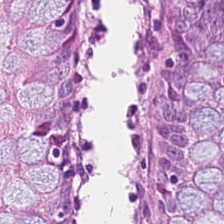H&E-stained tissue section. Classification — benign colonic mucosa.
